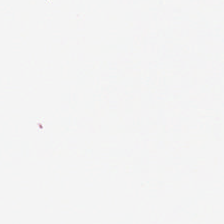0.5 microns per pixel; hematoxylin-and-eosin stained section; 224×224 px tile. Content — empty background.
